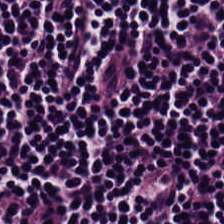224×224 px tile. Hematoxylin-and-eosin stained section.
{"tissue_type": "lymphocytic infiltrate"}
